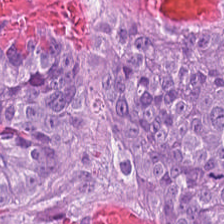Hematoxylin-and-eosin stained section — Tissue type: malignant epithelium.
